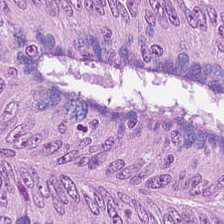H&E-stained tissue section. The tissue here is colorectal adenocarcinoma epithelium.
